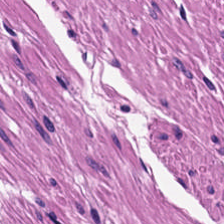Brightfield · formalin-fixed paraffin-embedded section · hematoxylin and eosin — The tissue here is muscularis.
